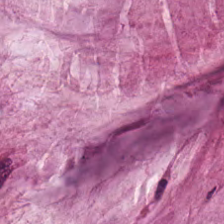The classification is mucus.
